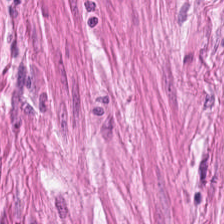H&E-stained tissue section. Tissue = muscularis.
